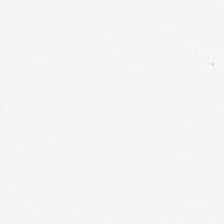Stain: H&E.
Content: background.
